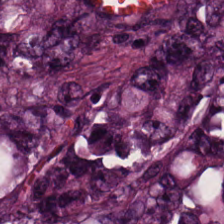Whole-slide-image patch. Hematoxylin and eosin.
This field is colorectal adenocarcinoma epithelium.
